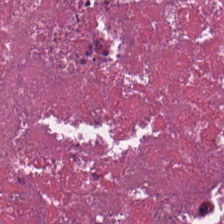Hematoxylin and eosin · 20× equivalent magnification · FFPE tissue section — Q: What does this patch show?
A: Necrotic debris.
